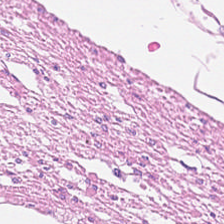Hematoxylin and eosin.
Q: Identify the tissue.
A: It is muscularis.
